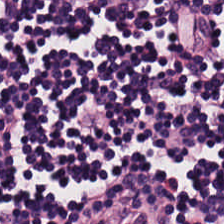WSI patch; 224×224 px patch; hematoxylin and eosin — The tissue here is lymphocyte aggregate.
